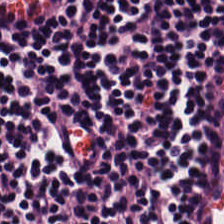Brightfield. 224×224 px tile. H&E.
The tissue here is lymphocytic infiltrate.
